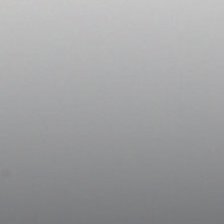H&E-stained tissue section — Q: What does this patch show?
A: Background.
